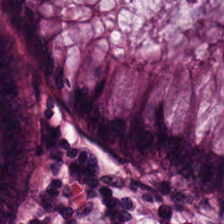Formalin-fixed paraffin-embedded section; H&E; 224×224 px patch. Q: What does this patch show?
A: Non-neoplastic colon mucosa.
